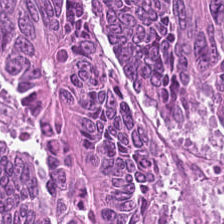WSI patch. H&E-stained tissue section — Colorectal adenocarcinoma epithelium.
